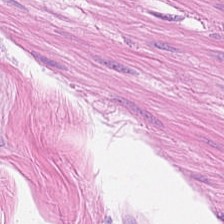{"tissue_type": "smooth-muscle tissue"}
